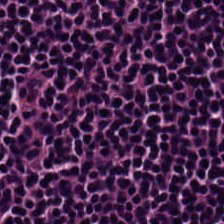Hematoxylin-and-eosin stained section.
This patch shows lymphocyte aggregate.
